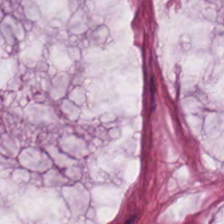H&E.
Histology → mucus.
